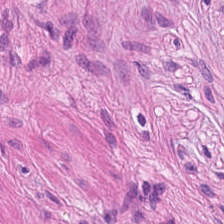FFPE tissue section; H&E-stained tissue section; 224×224 px patch — This field is muscularis.
